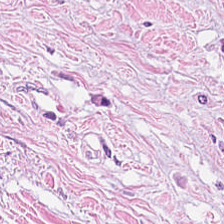H&E — cancer-associated stroma.
